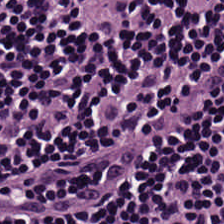Stain: H&E stain.
Tissue class: lymphocytic infiltrate.
